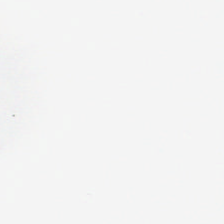H&E. The classification is background.
